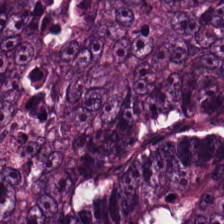The tissue class is colorectal adenocarcinoma.
